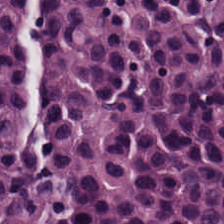Hematoxylin and eosin.
Tissue class = lymphocyte aggregate.
